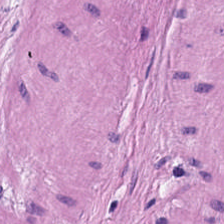H&E stain — Impression — smooth muscle.
